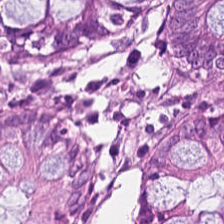Stain: H&E stain.
Tissue: normal colon mucosa.
